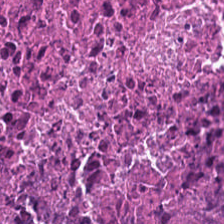This field is debris.
